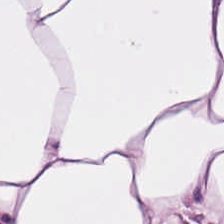224×224 pixel tile · hematoxylin-and-eosin stained section.
Finding → adipose.
